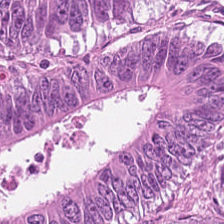Hematoxylin and eosin.
Q: What does this patch show?
A: The field shows colorectal adenocarcinoma epithelium.
